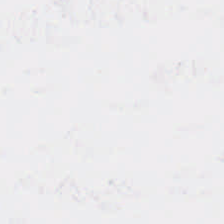Field content — empty background.
